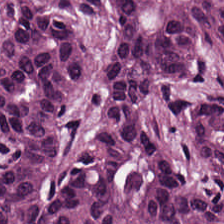Stain: H&E-stained tissue section.
Tile size: 224×224 px patch.
Tissue class: adenocarcinoma.
